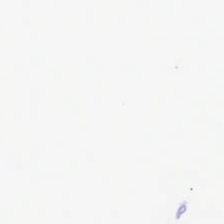Classification — background.
